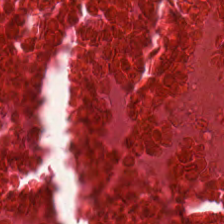H&E stain.
The predominant tissue is debris.
